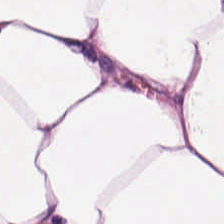0.5 µm per pixel. Hematoxylin and eosin. The tissue here is adipocytes.
